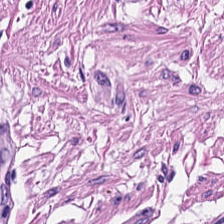{"tissue_type": "muscularis"}
